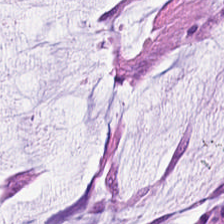The classification is mucin.
